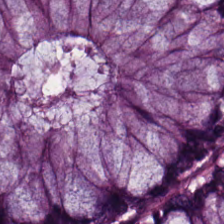H&E patch showing benign colonic mucosa.
